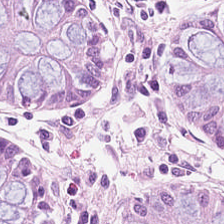WSI patch; H&E-stained tissue section; FFPE tissue section.
Classification = normal colon mucosa.
